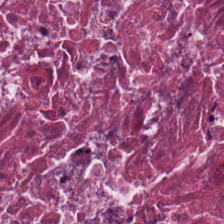224×224 pixel tile; hematoxylin-and-eosin stained section. Showing necrotic debris.
